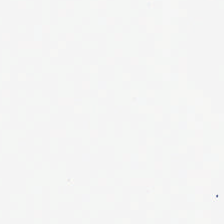Stain: H&E stain.
Content: empty background.
